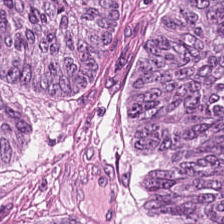Brightfield. Hematoxylin-and-eosin stained section. The tissue is adenocarcinoma.
